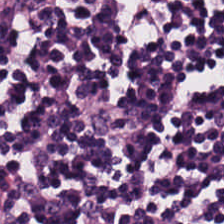Hematoxylin-and-eosin stained section · formalin-fixed paraffin-embedded section.
Showing lymphocytes.
